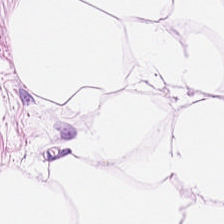FFPE tissue section · H&E stain. Predominantly adipose tissue.
